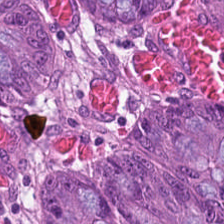H&E-stained tissue section showing malignant epithelium.
